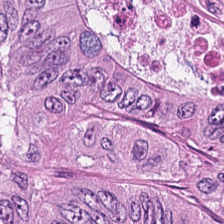H&E stain; FFPE tissue section; whole-slide-image patch. Q: Classify this patch.
A: Malignant epithelium.
